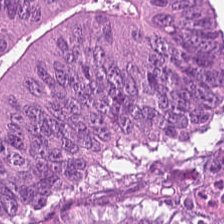Stain: hematoxylin-and-eosin stained section.
Acquisition: WSI patch.
Preparation: FFPE.
Predominant tissue: adenocarcinoma.
